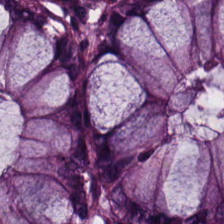Stain: H&E-stained tissue section.
Resolution: 20× equivalent magnification.
Classification: normal colon mucosa.
